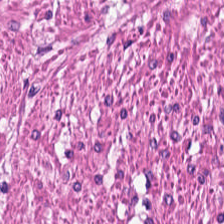Stain: H&E-stained tissue section.
Acquisition: brightfield microscopy.
Resolution: 0.5 microns per pixel.
Tissue class: muscularis.
